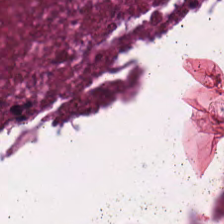H&E-stained tissue section; 20× equivalent magnification; brightfield microscopy.
Q: What is shown in this field?
A: The field shows debris.
